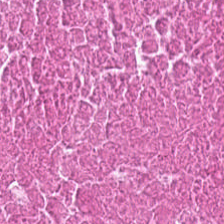Formalin-fixed paraffin-embedded section · H&E stain.
Predominant tissue — cellular debris.
